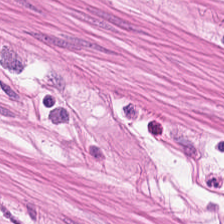Hematoxylin and eosin.
Finding — smooth muscle.
